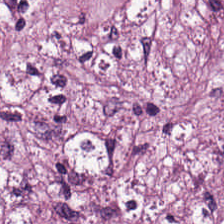H&E. 224×224 px patch — Impression → tumor stroma.
